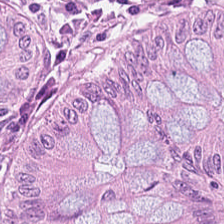Impression → benign colonic mucosa.
